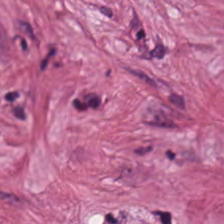0.5 microns per pixel; H&E-stained tissue section.
The tissue here is tumor-associated stroma.
